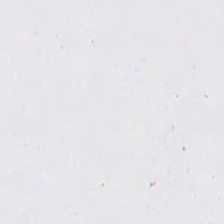Hematoxylin and eosin.
Q: What is shown in this field?
A: The field shows background.
